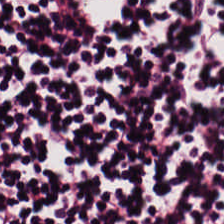Tissue class = lymphocytes.
